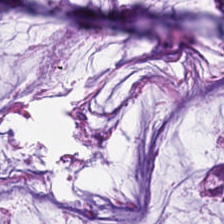Formalin-fixed paraffin-embedded section · H&E stain. Q: What is shown in this field?
A: It is extracellular mucin.
